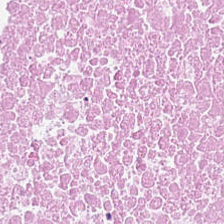Hematoxylin and eosin — Finding → cellular debris.
